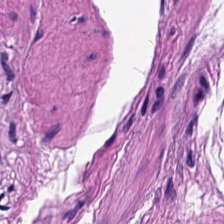H&E stain.
Predominant tissue = smooth-muscle tissue.
